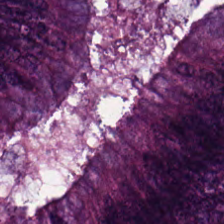Brightfield microscopy. H&E stain. Classification = malignant epithelium.
